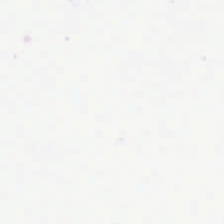H&E-stained tissue section. Background.
